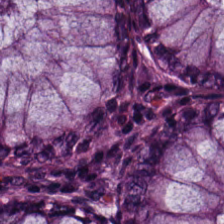Stain: H&E.
Tissue class: normal colonic mucosa.
